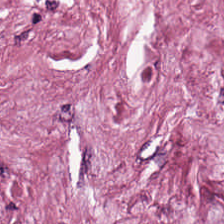H&E stain · WSI patch · 0.5 µm/px.
Tissue type = desmoplastic stroma.
